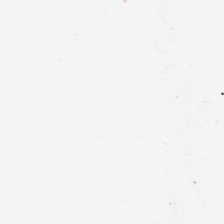Hematoxylin and eosin.
The classification is empty background.
